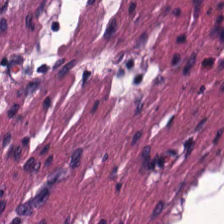Tissue type = muscularis.
